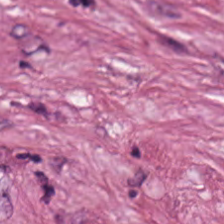Stain: H&E stain.
Tissue: cancer-associated stroma.
